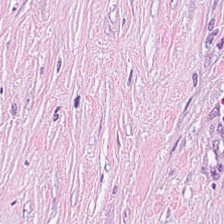Brightfield; H&E.
Predominant tissue = tumor stroma.
